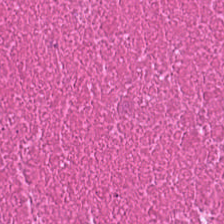The classification is cellular debris.
